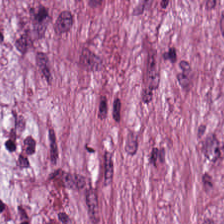This patch shows cancer-associated stroma.
